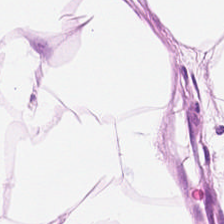H&E stain. {"tissue_type": "adipocytes"}
